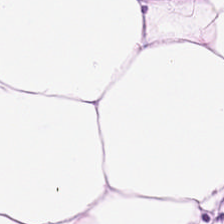Hematoxylin and eosin. {"tissue_type": "adipose"}
